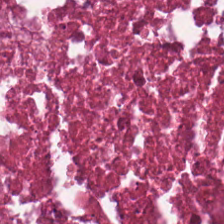H&E-stained tissue section. Formalin-fixed paraffin-embedded section. Classification — debris.
